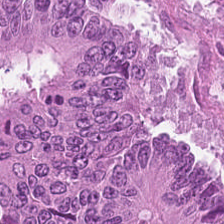H&E stain — Q: Classify this patch.
A: This is malignant epithelium.
